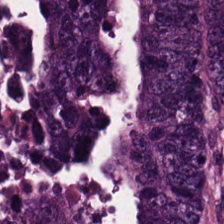H&E stain. The predominant tissue is tumor epithelium.
